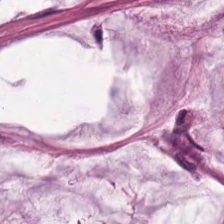Hematoxylin and eosin — Tissue class: extracellular mucin.
